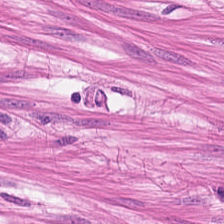FFPE tissue section. H&E-stained tissue section. Impression → smooth-muscle tissue.
